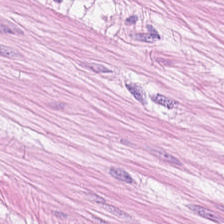H&E-stained tissue section. Tissue class = muscularis.
